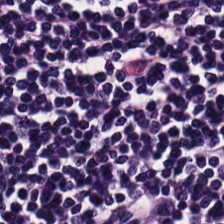Q: What is the predominant tissue type?
A: It is lymphocyte aggregate.
